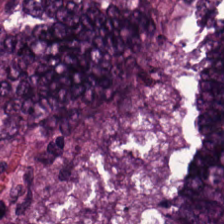H&E stain. The tissue here is adenocarcinoma.
